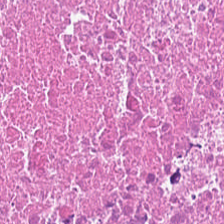H&E stain.
Classification — necrotic debris.
